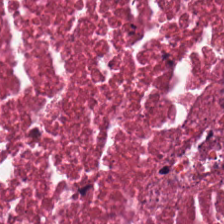WSI patch · H&E stain · FFPE tissue section. This patch shows debris.
